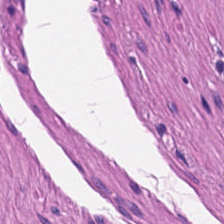H&E stain.
Finding — muscularis.
